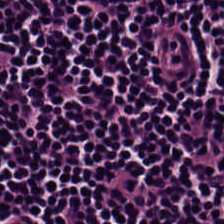H&E-stained tissue section. Predominant tissue: lymphoid infiltrate.
